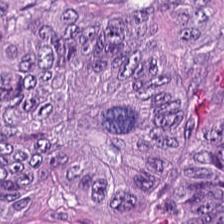H&E. Showing adenocarcinoma.
